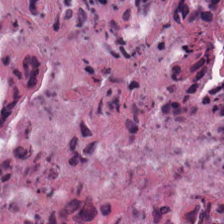Hematoxylin-and-eosin stained section.
Predominantly cellular debris.
